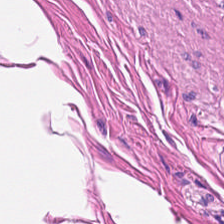Hematoxylin and eosin. This field is muscularis.
